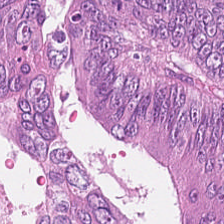H&E.
Q: Classify this patch.
A: Colorectal adenocarcinoma.
